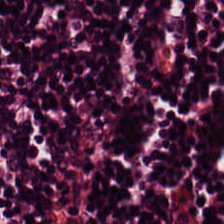Stain: H&E stain.
Tile size: 224×224 px tile.
Predominant tissue: lymphocytic infiltrate.
